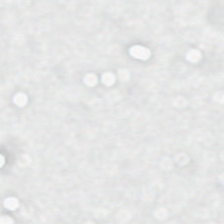Stain: H&E.
Tile size: 224×224 pixel tile.
Classification: empty background.
